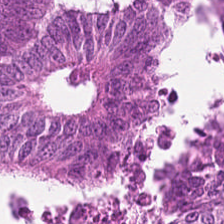H&E stain. The tissue here is colorectal adenocarcinoma epithelium.
